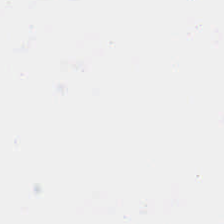Hematoxylin-and-eosin stained section; FFPE — No tissue.
